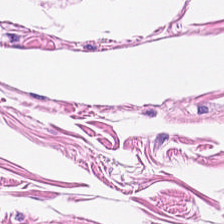Tissue type: muscularis.
